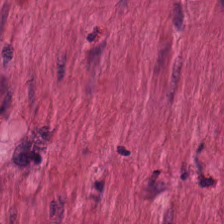Tissue = smooth muscle.
